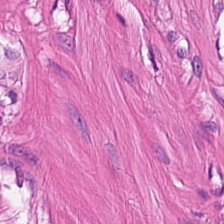H&E-stained tissue section. The tissue here is muscularis.
